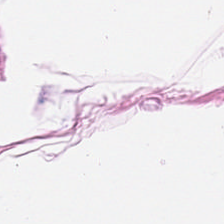Predominant tissue — adipose.
